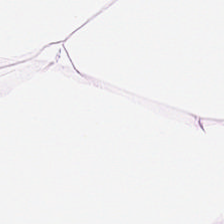Hematoxylin and eosin.
Fat tissue.
